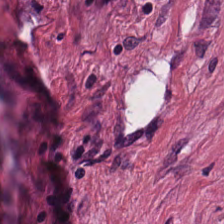Q: What does this patch show?
A: This is tumor-associated stroma.
